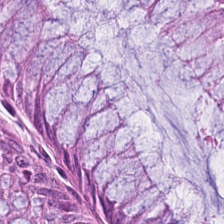Stain: H&E.
Preparation: formalin-fixed paraffin-embedded section.
Tissue type: normal colon mucosa.
